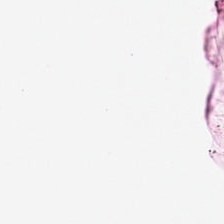H&E · 0.5 µm/px — Background (no tissue).
